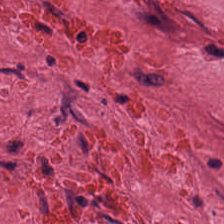20× equivalent magnification; H&E — The predominant tissue is desmoplastic stroma.
